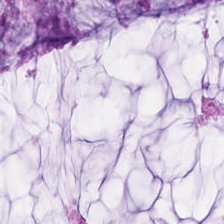This field is extracellular mucin.
